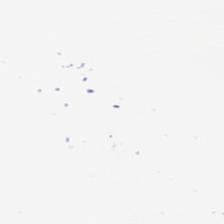Q: What does this patch show?
A: This is empty background.
